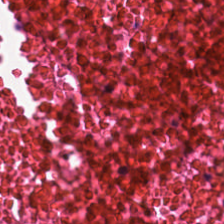Hematoxylin-and-eosin stained section · FFPE. Predominant tissue = debris.
